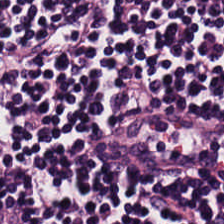Q: What tissue is shown?
A: It is lymphocyte aggregate.
